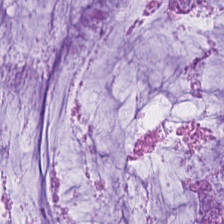H&E-stained tissue section — {"tissue_type": "mucus"}
